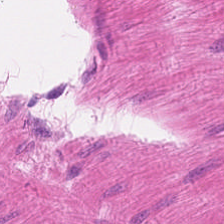The predominant tissue is smooth muscle.
